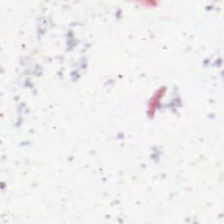0.5 microns per pixel. Whole-slide-image patch. Hematoxylin-and-eosin stained section — This field is background (no tissue).
